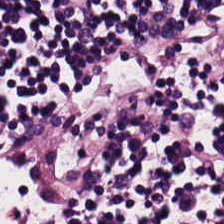Stain: hematoxylin and eosin.
Tile size: 224×224 px tile.
Preparation: FFPE.
Predominant tissue: lymphoid infiltrate.
